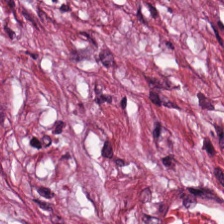Tissue class — tumor-associated stroma.
